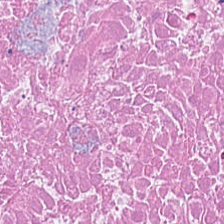Stain: H&E stain.
Predominant tissue: necrotic debris.
